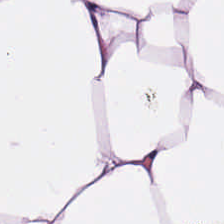H&E-stained tissue section. Predominantly adipose tissue.
